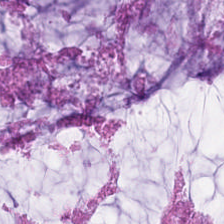0.5 µm/px; H&E-stained tissue section — Tissue: mucus.
